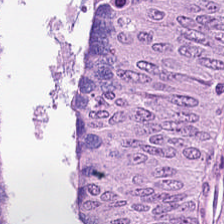H&E stain. 20× equivalent magnification.
Tissue type: colorectal adenocarcinoma epithelium.
